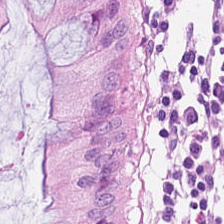FFPE · hematoxylin and eosin · 224×224 px tile. Classification = normal colon mucosa.
